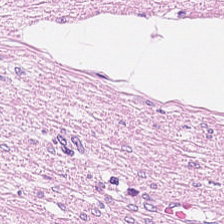Tissue class = smooth muscle.
